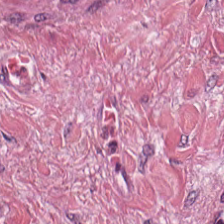H&E-stained tissue section · FFPE tissue section — Predominant tissue — cancer-associated stroma.
